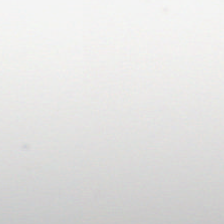H&E stain. This patch shows no tissue.
